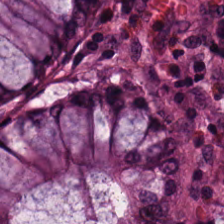Showing non-neoplastic colon mucosa.
